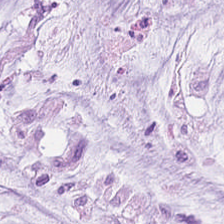H&E stain. 0.5 µm per pixel. Whole-slide-image patch. This patch shows mucus.
